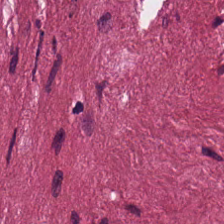H&E.
Showing desmoplastic stroma.
